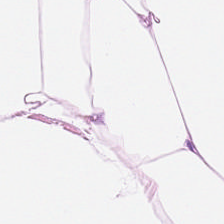Stain: H&E.
Acquisition: whole-slide-image patch.
Classification: adipocytes.
